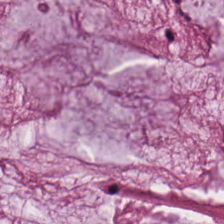Hematoxylin and eosin. Mucin.
